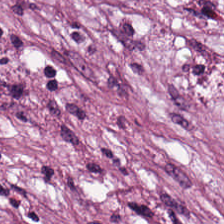H&E-stained tissue section. Classification: cancer-associated stroma.
